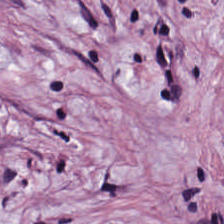224×224 px patch · hematoxylin-and-eosin stained section — The tissue here is tumor stroma.
